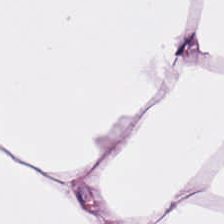224×224 pixel tile. Formalin-fixed paraffin-embedded section. H&E.
Q: Classify this patch.
A: This is fat tissue.
